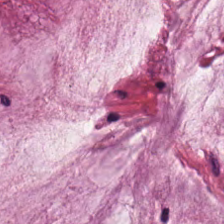H&E.
The tissue here is mucus.
